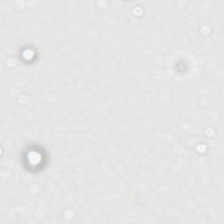Stain: H&E stain.
Acquisition: brightfield microscopy.
Tile size: 224×224 px tile.
Content: no tissue.
